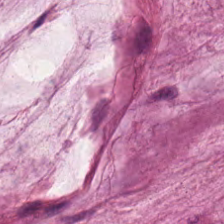H&E-stained tissue section showing mucin.
